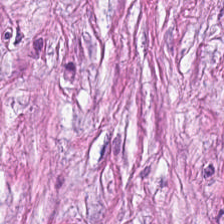Hematoxylin and eosin. FFPE tissue section — The tissue here is tumor-associated stroma.
